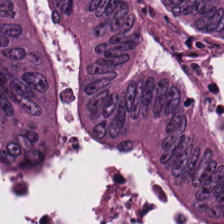H&E. Predominantly malignant epithelium.
